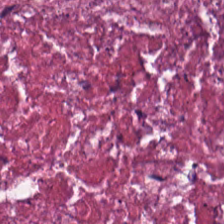H&E stain — This field is debris.
